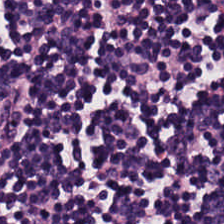Stain: H&E stain.
Classification: lymphocytes.
